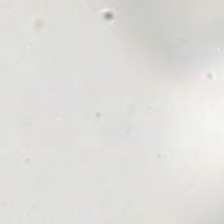Stain: H&E stain.
Field content: no tissue.
